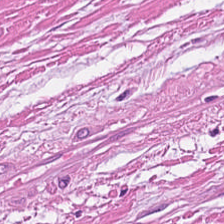Brightfield microscopy · 224×224 pixel tile · H&E stain — Tissue class: smooth-muscle tissue.
